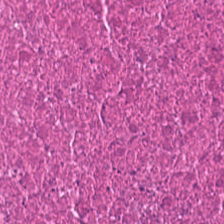Tissue class = necrotic debris.
